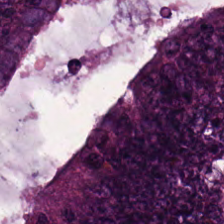The tissue is malignant epithelium.
